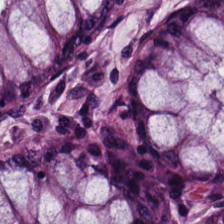Hematoxylin-and-eosin stained section. FFPE tissue section — Q: What tissue is shown?
A: Non-neoplastic colon mucosa.
